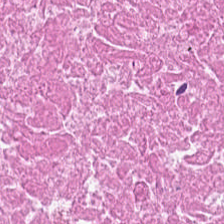Showing cellular debris.
